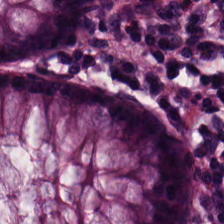Hematoxylin-and-eosin stained section. Q: What is the predominant tissue type?
A: This is benign colonic mucosa.
